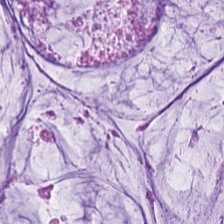Hematoxylin and eosin. Brightfield microscopy. 224×224 px patch.
Q: What tissue is shown?
A: Extracellular mucin.
